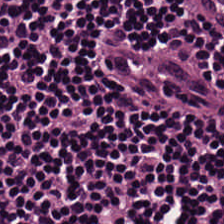H&E-stained tissue section — Predominantly lymphocytes.
